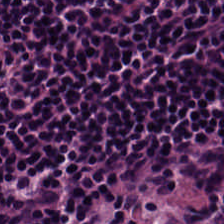Stain: hematoxylin-and-eosin stained section.
Tissue class: lymphocytic infiltrate.
